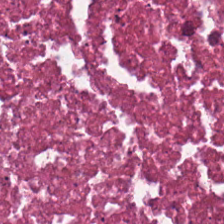Stain: H&E.
Resolution: 20× equivalent magnification.
Preparation: formalin-fixed paraffin-embedded section.
Classification: debris.
